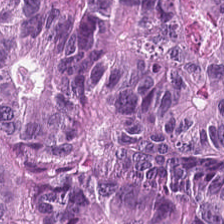Brightfield microscopy. Hematoxylin-and-eosin stained section.
Finding — tumor epithelium.
